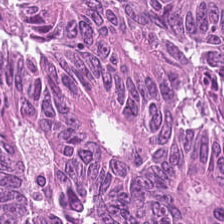H&E.
The tissue here is colorectal adenocarcinoma epithelium.
